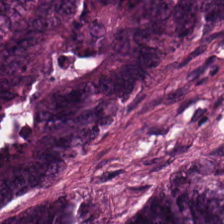Predominantly colorectal adenocarcinoma.
